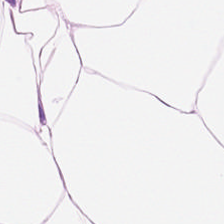The tissue here is adipocytes.
